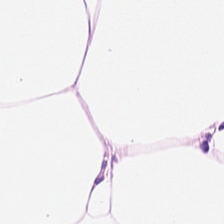H&E-stained tissue section; 0.5 µm per pixel. Predominantly adipose.
